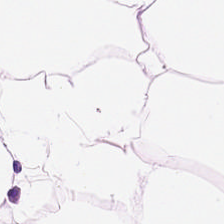H&E stain.
The predominant tissue is adipocytes.
